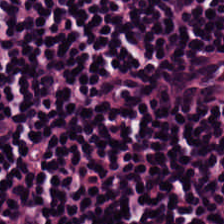Brightfield. H&E-stained tissue section. Predominantly lymphocytes.
